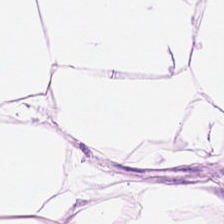H&E stain; whole-slide-image patch. The classification is adipocytes.
